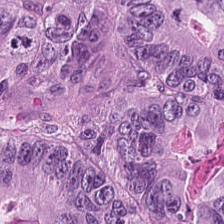Q: What type of tissue is this?
A: Adenocarcinoma.
